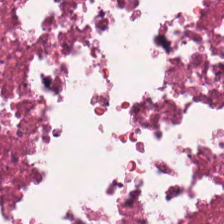H&E-stained tissue section; 224×224 pixel tile; FFPE tissue section — This field is cellular debris.
